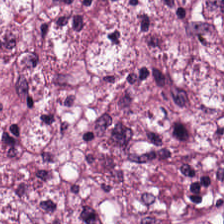WSI patch · H&E — The tissue here is cancer-associated stroma.
